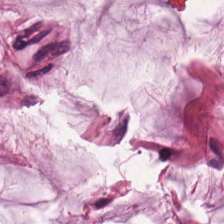0.5 µm/px. H&E. Classification — extracellular mucin.
